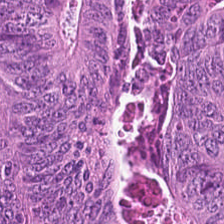H&E.
The tissue class is adenocarcinoma.
